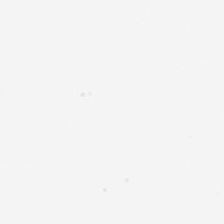Q: What is shown here?
A: It is background.
